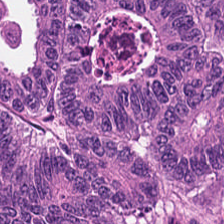Hematoxylin-and-eosin stained section; 224×224 px patch. Predominant tissue: tumor epithelium.
